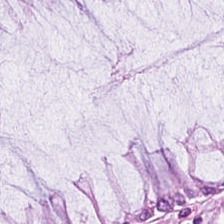Stain: H&E.
Classification: normal colon mucosa.
